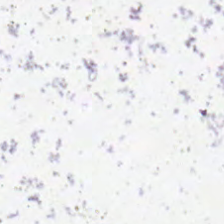H&E-stained tissue section — Background.
